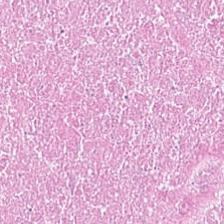Hematoxylin-and-eosin stained section · brightfield. Tissue class — debris.
